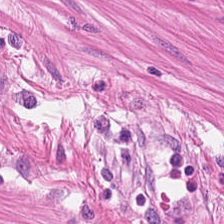Histology — smooth muscle.
